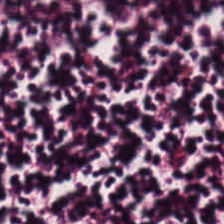Hematoxylin-and-eosin stained section. The tissue here is lymphocytic infiltrate.
